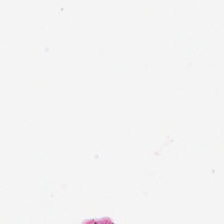Hematoxylin-and-eosin stained section · 0.5 microns per pixel — This patch shows background.
